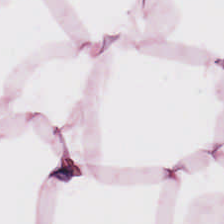Hematoxylin-and-eosin stained section.
{"tissue_type": "fat tissue"}
